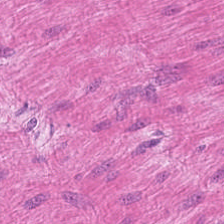Stain: hematoxylin-and-eosin stained section.
Tissue: muscularis.
